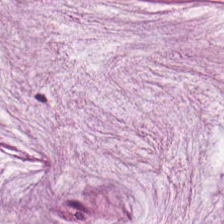Hematoxylin and eosin. Formalin-fixed paraffin-embedded section. WSI patch.
Tissue class = mucin.
